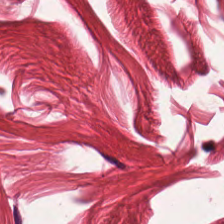Hematoxylin-and-eosin stained section.
Q: Classify this patch.
A: It is smooth muscle.
